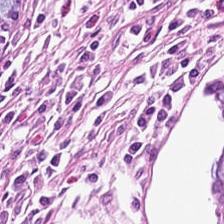Hematoxylin and eosin.
Finding → benign colonic mucosa.
